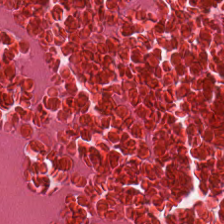Brightfield. Hematoxylin and eosin. 224×224 px tile. Q: What does this patch show?
A: It is debris.
